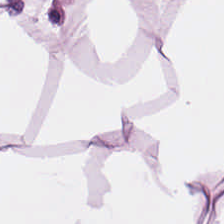Stain: hematoxylin and eosin.
Tissue class: fat tissue.
